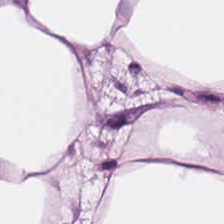The tissue here is adipocytes.
